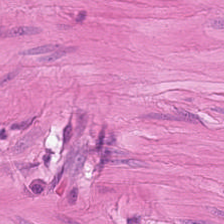The tissue here is muscularis.
